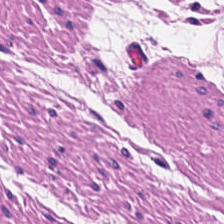The predominant tissue is muscularis.
